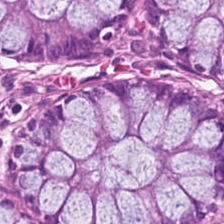Hematoxylin-and-eosin stained section — Q: Classify this patch.
A: It is normal colonic mucosa.
